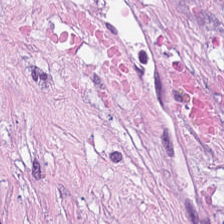H&E — The classification is desmoplastic stroma.
